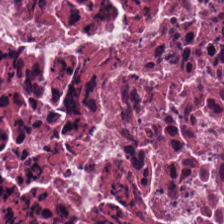H&E-stained tissue section; brightfield microscopy — Impression → necrotic debris.
